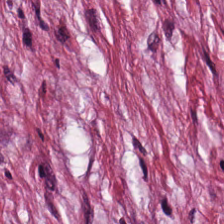Hematoxylin and eosin · 224×224 px tile. The predominant tissue is tumor stroma.
